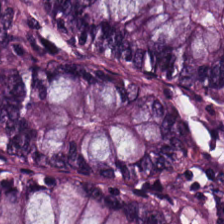H&E. Tissue class — benign colonic mucosa.
